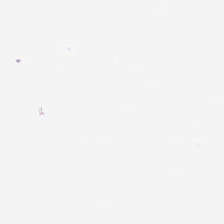Empty field — empty background.
